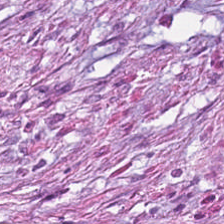H&E stain. Finding → tumor-associated stroma.
